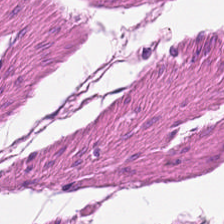H&E.
Histology — smooth muscle.
